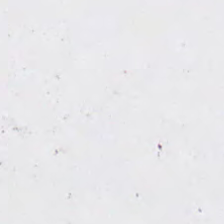H&E stain — Finding → background (no tissue).
